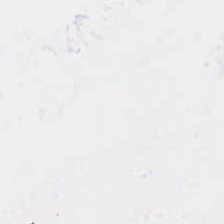H&E. 0.5 microns per pixel. Whole-slide-image patch — Empty background.
